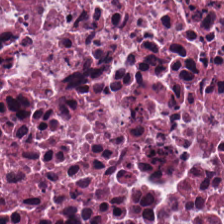Showing necrotic debris.
